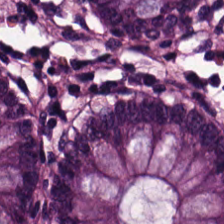Hematoxylin and eosin. Classification = non-neoplastic colon mucosa.
